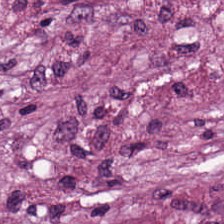H&E stain. Tumor stroma.
